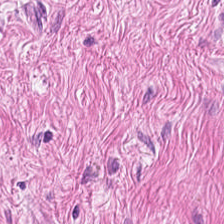H&E. The tissue type is smooth muscle.
